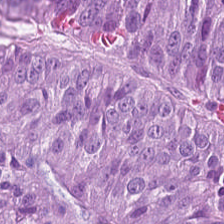Q: Classify this patch.
A: This is colorectal adenocarcinoma epithelium.
